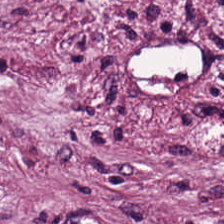Stain: hematoxylin-and-eosin stained section.
Predominant tissue: tumor-associated stroma.
